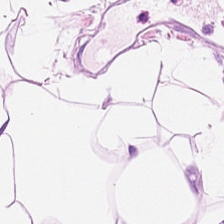Q: What is shown here?
A: Fat tissue.
